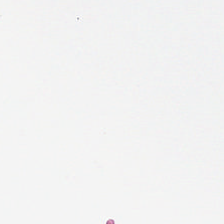Whole-slide-image patch. Hematoxylin and eosin.
No tissue.
